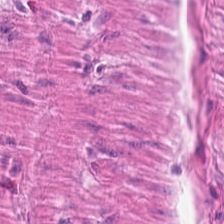Hematoxylin-and-eosin stained section · 224×224 px patch. This field is muscularis.
